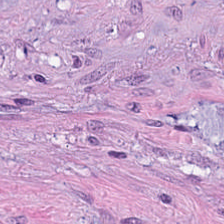H&E stain — The tissue here is tumor stroma.
